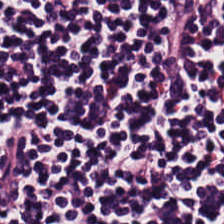H&E. The tissue here is lymphocyte aggregate.
